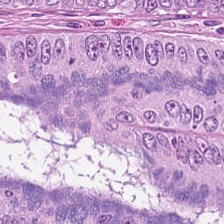Stain: hematoxylin-and-eosin stained section.
Preparation: formalin-fixed paraffin-embedded section.
Predominant tissue: adenocarcinoma.
